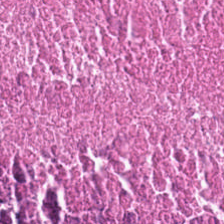H&E-stained tissue section. Tissue: debris.
